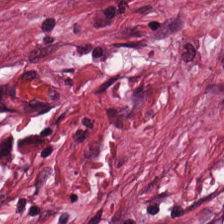Stain: H&E.
Classification: tumor stroma.
